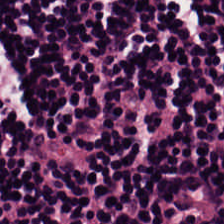FFPE. H&E. 224×224 pixel tile.
Predominant tissue: lymphocytes.
